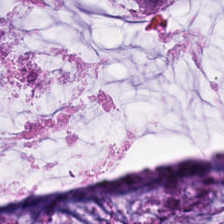Stain: H&E.
Acquisition: brightfield microscopy.
Tissue: mucin.
